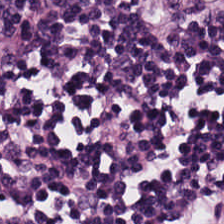H&E stain.
Predominant tissue: lymphocytic infiltrate.
